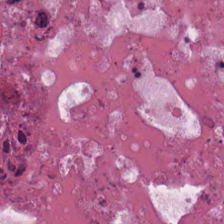H&E. Cellular debris.
